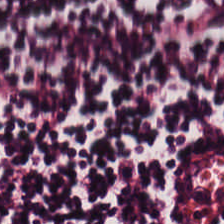Hematoxylin and eosin — This patch shows lymphocytic infiltrate.
